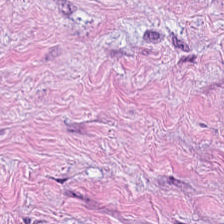H&E-stained tissue section — Classification = tumor-associated stroma.
